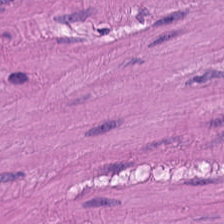H&E stain. This field is muscularis.
